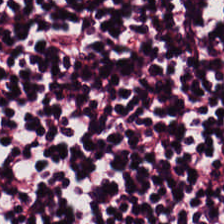Hematoxylin and eosin — {"tissue_type": "lymphocytic infiltrate"}
